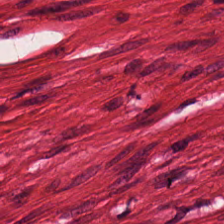Hematoxylin-and-eosin stained section — Predominant tissue = smooth-muscle tissue.
